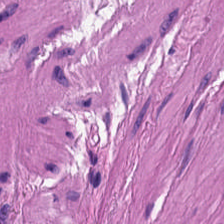H&E — Q: What does this patch show?
A: It is muscularis.
